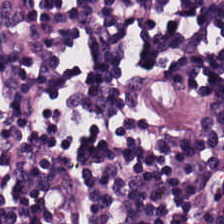Hematoxylin-and-eosin stained section — The predominant tissue is lymphocyte aggregate.
